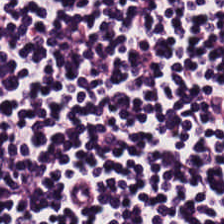Tissue type: lymphoid infiltrate.
